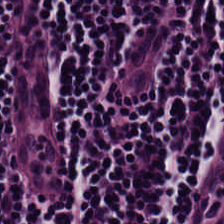H&E stain.
This patch shows lymphocytic infiltrate.
